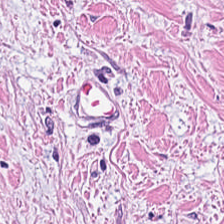Stain: hematoxylin and eosin.
Tile size: 224×224 px tile.
Predominant tissue: desmoplastic stroma.
